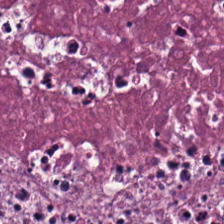The classification is debris.
